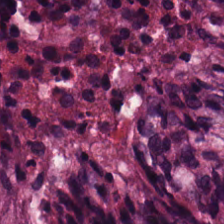0.5 microns per pixel. Hematoxylin-and-eosin stained section. 224×224 pixel tile. Tissue type — normal colon mucosa.
